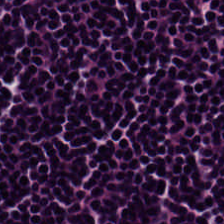Impression → lymphocytic infiltrate.
